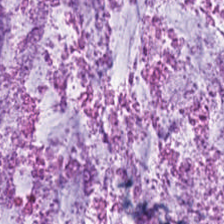Q: Classify this patch.
A: It is mucin.
